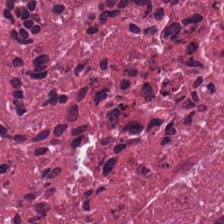Hematoxylin and eosin.
Finding → necrotic debris.
